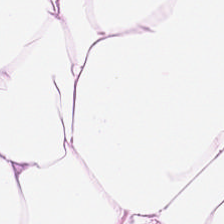Hematoxylin and eosin · 224×224 px tile.
Q: What does this patch show?
A: It is adipocytes.
